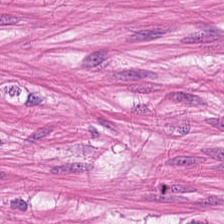Smooth-muscle tissue.
